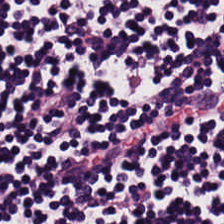The tissue is lymphocytes.
